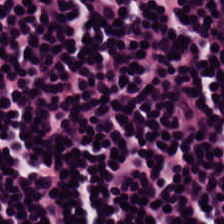20× equivalent magnification. H&E stain. Whole-slide-image patch. Showing lymphoid infiltrate.
